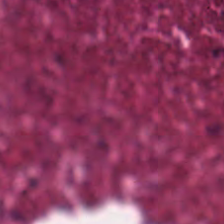H&E stain — {"tissue_type": "necrotic debris"}
